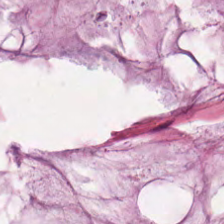H&E.
The tissue type is mucus.
